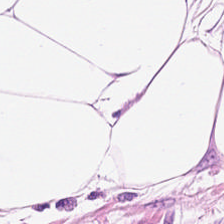H&E-stained tissue section. FFPE — Q: Identify the tissue.
A: It is adipocytes.
